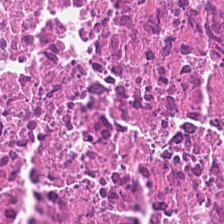Stain: hematoxylin-and-eosin stained section.
Classification: debris.
